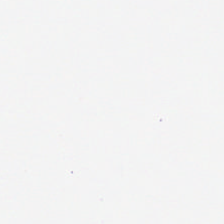Stain: H&E-stained tissue section.
Preparation: FFPE tissue section.
Acquisition: brightfield microscopy.
Classification: empty background.
